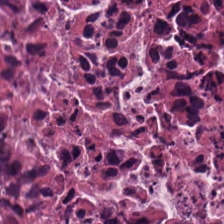Formalin-fixed paraffin-embedded section. H&E stain. Predominantly cellular debris.
